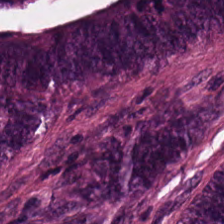224×224 pixel tile. Hematoxylin-and-eosin stained section — Classification — colorectal adenocarcinoma epithelium.
